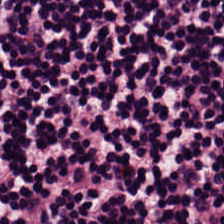224×224 pixel tile; H&E stain. {"tissue_type": "lymphoid infiltrate"}
